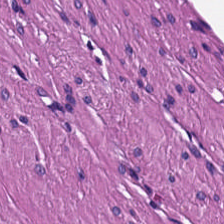FFPE; H&E; WSI patch — Tissue type — smooth-muscle tissue.
